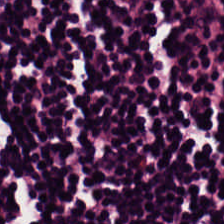Hematoxylin and eosin.
Tissue class: lymphocyte aggregate.
